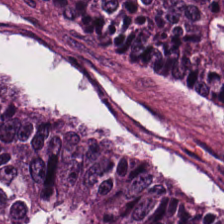224×224 px tile · hematoxylin-and-eosin stained section.
The tissue here is colorectal adenocarcinoma epithelium.
